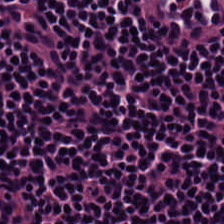H&E; FFPE.
Classification: lymphocytic infiltrate.
